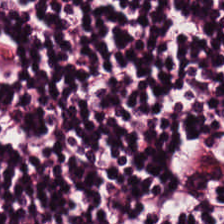224×224 px patch; hematoxylin-and-eosin stained section. The tissue type is lymphocytes.
